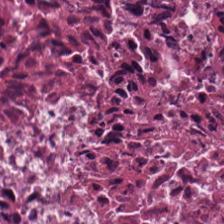Stain: H&E-stained tissue section.
Tissue: debris.
